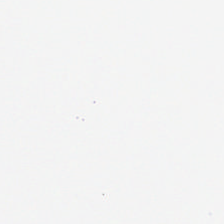224×224 px tile; hematoxylin and eosin — Impression → empty background.
